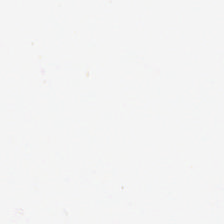H&E — Field content = empty background.
